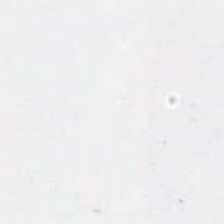Hematoxylin and eosin — Classification = empty background.
